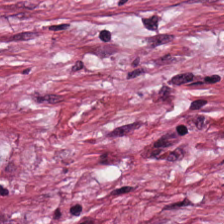224×224 px patch. Hematoxylin-and-eosin stained section. 0.5 microns per pixel.
The tissue here is tumor stroma.
